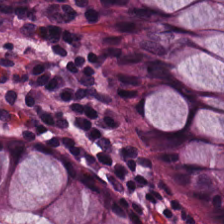FFPE tissue section · hematoxylin-and-eosin stained section. Histology → benign colonic mucosa.
